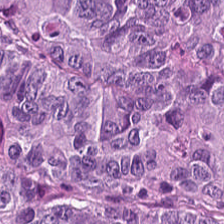Predominantly malignant epithelium.
